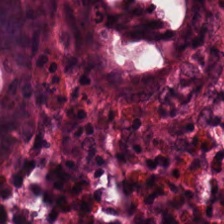This patch shows non-neoplastic colon mucosa.
